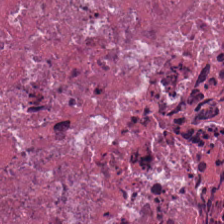H&E-stained tissue section. WSI patch — Tissue type = cellular debris.
